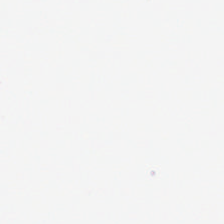Stain: H&E stain.
Resolution: 0.5 microns per pixel.
Tile size: 224×224 pixel tile.
Content: background.
